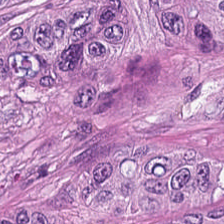0.5 µm/px; hematoxylin and eosin. The tissue here is colorectal adenocarcinoma.
